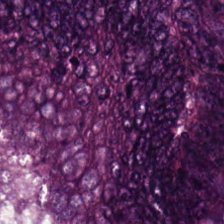FFPE; hematoxylin-and-eosin stained section; brightfield microscopy. Showing malignant epithelium.
